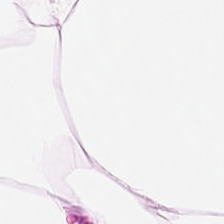H&E stain; 224×224 px tile; brightfield microscopy — The predominant tissue is adipose.
